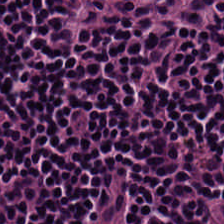FFPE · H&E stain — The classification is lymphocytic infiltrate.
